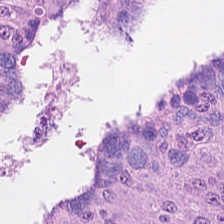H&E stain; formalin-fixed paraffin-embedded section.
Tissue type: tumor epithelium.
